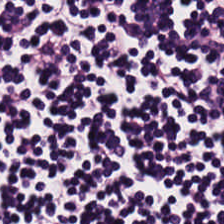H&E · 224×224 pixel tile. {"tissue_type": "lymphocyte aggregate"}
